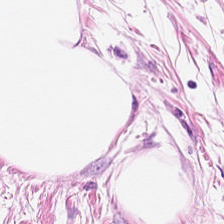Hematoxylin and eosin. This field is adipocytes.
